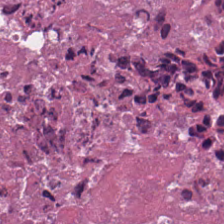224×224 pixel tile. Hematoxylin and eosin. Brightfield microscopy. Histology — cellular debris.
